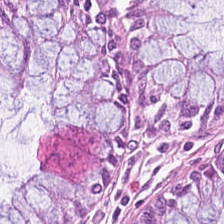Hematoxylin-and-eosin stained section — Q: What does this patch show?
A: The field shows normal colonic mucosa.
